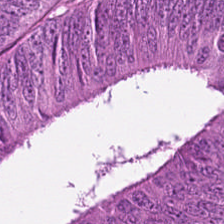FFPE tissue section · H&E. Predominantly tumor epithelium.
